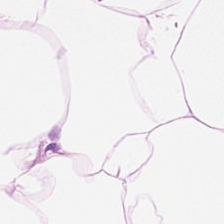Fat tissue.
